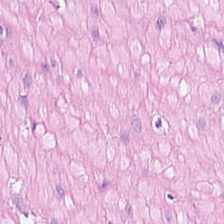H&E stain — Tissue type — muscularis.
